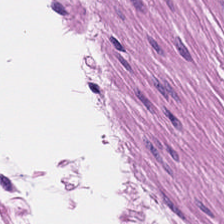Stain: hematoxylin-and-eosin stained section.
Resolution: 20× equivalent magnification.
Tissue type: muscularis.
